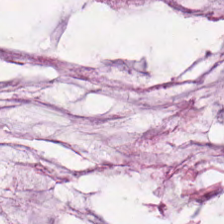H&E.
Predominantly mucus.
